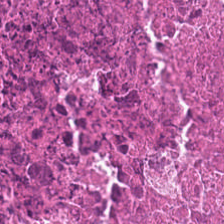Stain: H&E stain.
Resolution: 0.5 µm per pixel.
Tissue: debris.
